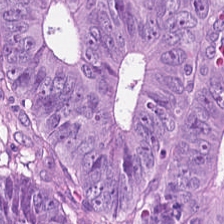Brightfield; 224×224 pixel tile; H&E — Q: What is shown here?
A: This is adenocarcinoma.
